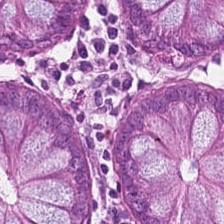H&E-stained tissue section. Formalin-fixed paraffin-embedded section.
Showing normal colon mucosa.
